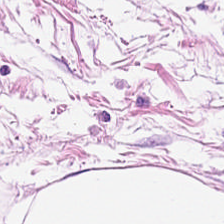H&E-stained section; the field shows adipose tissue.
